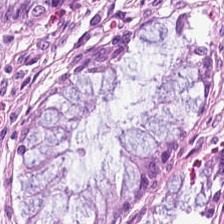H&E. This field is normal colon mucosa.
